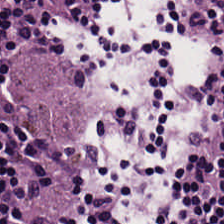Stain: hematoxylin-and-eosin stained section.
Resolution: 0.5 µm per pixel.
Tile size: 224×224 px patch.
Tissue type: lymphocytes.
